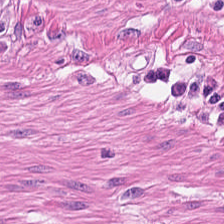224×224 pixel tile; hematoxylin and eosin; formalin-fixed paraffin-embedded section.
{"tissue_type": "muscularis"}
